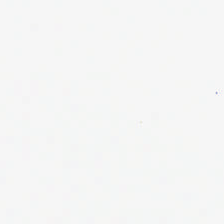H&E-stained tissue section · 0.5 µm per pixel — The content is no tissue.
